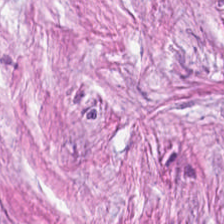WSI patch. FFPE tissue section. Hematoxylin-and-eosin stained section — Tissue type: tumor stroma.
